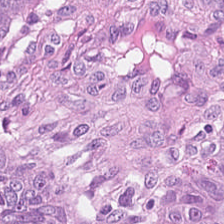Hematoxylin-and-eosin stained section. Classification — colorectal adenocarcinoma epithelium.
